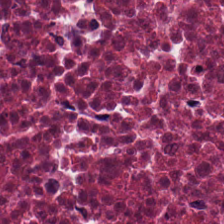0.5 µm per pixel. H&E-stained tissue section — This field is debris.
